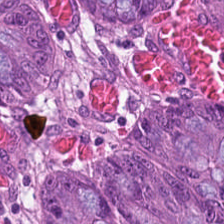H&E · 224×224 pixel tile · formalin-fixed paraffin-embedded section. Colorectal adenocarcinoma.
